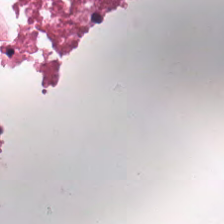Hematoxylin-and-eosin stained section · whole-slide-image patch. Histology → cellular debris.
